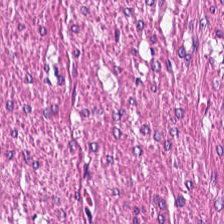H&E — The predominant tissue is smooth muscle.
